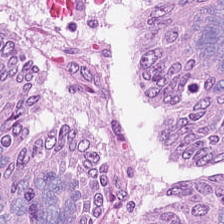20× equivalent magnification; H&E-stained tissue section; FFPE tissue section — Predominantly adenocarcinoma.
